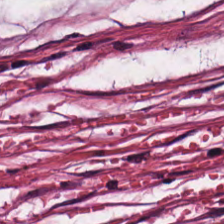H&E. 0.5 µm/px. Whole-slide-image patch. The tissue is tumor stroma.
